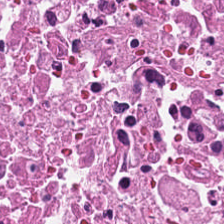Hematoxylin-and-eosin section: cellular debris.
